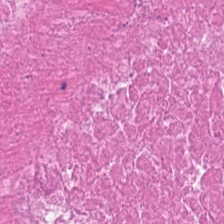Tissue type = cellular debris.
